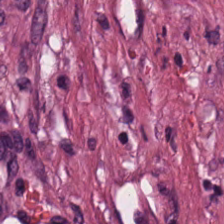Stain: H&E stain.
Preparation: FFPE tissue section.
Tissue class: cancer-associated stroma.
